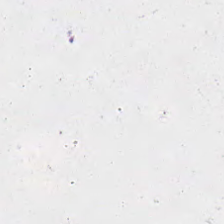224×224 px patch · hematoxylin-and-eosin stained section — Field content — background.
